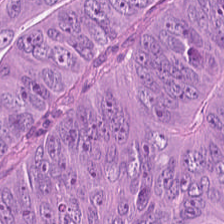Hematoxylin-and-eosin stained section; formalin-fixed paraffin-embedded section.
Adenocarcinoma.
